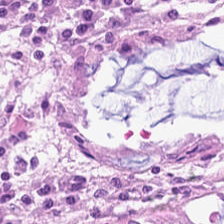Hematoxylin-and-eosin stained section · 0.5 µm per pixel. The predominant tissue is non-neoplastic colon mucosa.
